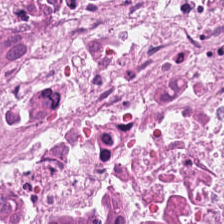H&E. The tissue here is cellular debris.
